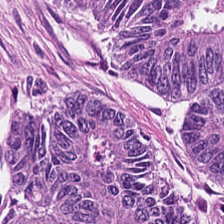FFPE; H&E-stained tissue section. {"tissue_type": "tumor epithelium"}
